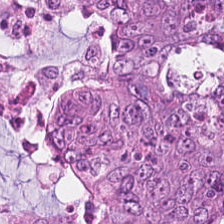H&E — This field is tumor epithelium.
